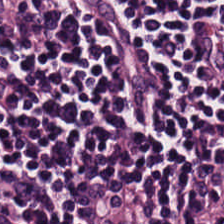Classification = lymphoid infiltrate.
